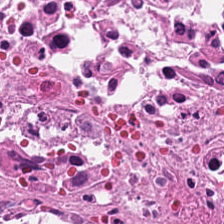H&E; 0.5 µm/px; 224×224 pixel tile — Tissue class — cellular debris.
